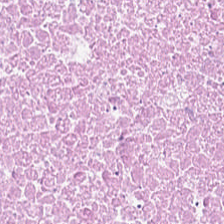224×224 px tile · 0.5 µm/px · hematoxylin-and-eosin stained section. The tissue class is cellular debris.
